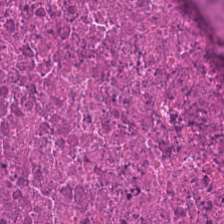Stain: H&E stain.
Resolution: 0.5 µm/px.
Tissue class: necrotic debris.
